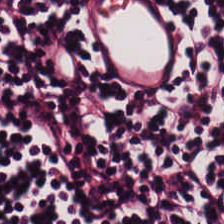H&E stain · 0.5 microns per pixel — This patch shows lymphocyte aggregate.
